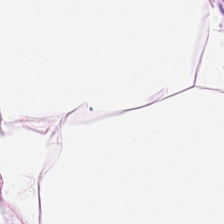Hematoxylin-and-eosin stained section.
The tissue here is adipose.
